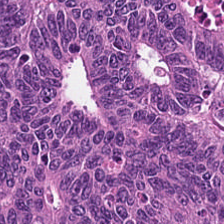Hematoxylin and eosin. The tissue here is colorectal adenocarcinoma.
